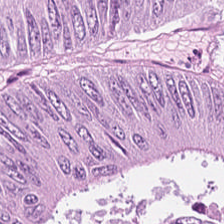0.5 µm/px · FFPE tissue section · hematoxylin and eosin.
Predominantly tumor epithelium.
